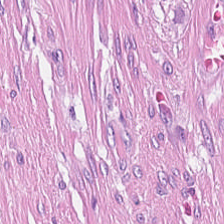H&E-stained tissue section — {"tissue_type": "tumor-associated stroma"}
